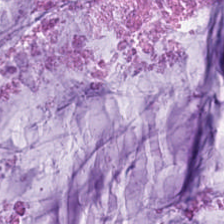H&E. Q: Identify the tissue.
A: This is extracellular mucin.
